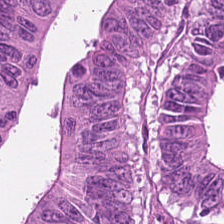H&E.
Q: Identify the tissue.
A: It is adenocarcinoma.
